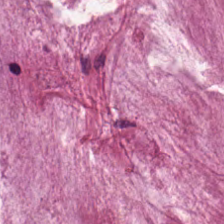Stain: hematoxylin and eosin.
Tissue: extracellular mucin.
